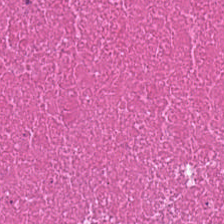H&E.
Q: What tissue is shown?
A: Debris.
